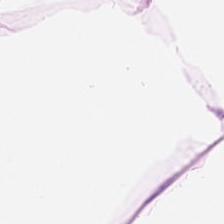H&E stain; formalin-fixed paraffin-embedded section. The predominant tissue is adipocytes.
